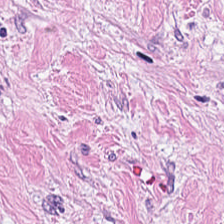Q: What tissue type is shown here?
A: The field shows desmoplastic stroma.
